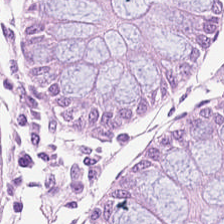Showing benign colonic mucosa.
